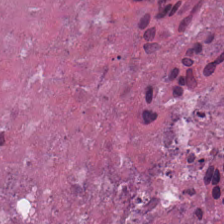224×224 pixel tile. Formalin-fixed paraffin-embedded section. Hematoxylin-and-eosin stained section. Predominantly necrotic debris.
